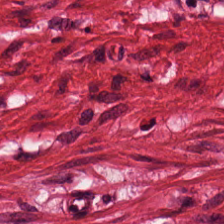H&E.
The tissue here is muscularis.
